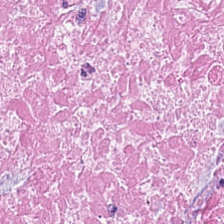H&E-stained tissue section · formalin-fixed paraffin-embedded section. This patch shows necrotic debris.
